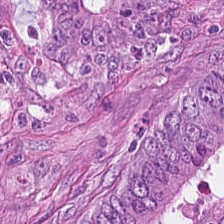Stain: H&E-stained tissue section.
Preparation: FFPE tissue section.
Tile size: 224×224 px patch.
Predominant tissue: colorectal adenocarcinoma.
